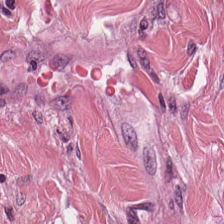Hematoxylin-and-eosin stained section. Formalin-fixed paraffin-embedded section — Predominantly tumor-associated stroma.
